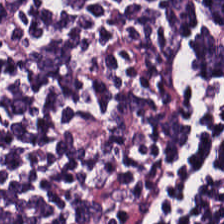The tissue class is lymphocyte aggregate.
